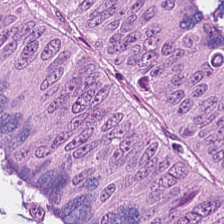H&E — malignant epithelium.
